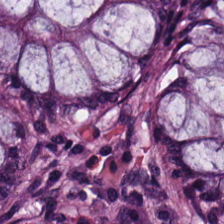0.5 microns per pixel; hematoxylin and eosin; FFPE.
Q: What is shown in this field?
A: It is benign colonic mucosa.
